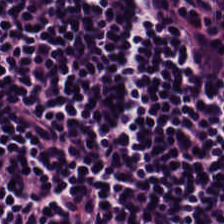Hematoxylin and eosin. This field is lymphoid infiltrate.
